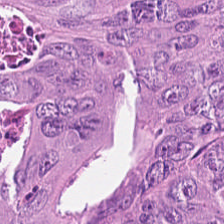H&E-stained section; the field shows malignant epithelium.
